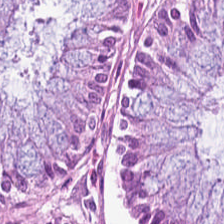H&E. Predominant tissue — benign colonic mucosa.
